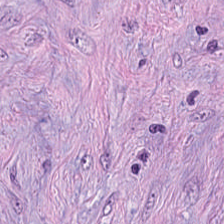H&E stain. The tissue class is tumor-associated stroma.
